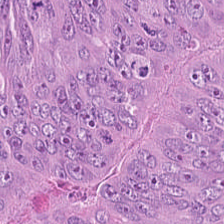Formalin-fixed paraffin-embedded section; H&E.
The tissue class is malignant epithelium.
